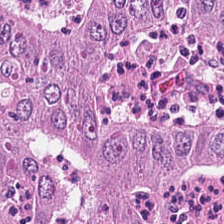Hematoxylin-and-eosin stained section.
The predominant tissue is tumor epithelium.
